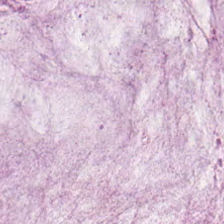0.5 µm per pixel; H&E stain; whole-slide-image patch.
The predominant tissue is extracellular mucin.
